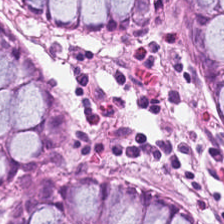H&E-stained tissue section.
The predominant tissue is normal colonic mucosa.
